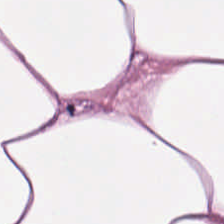Finding — adipose tissue.
